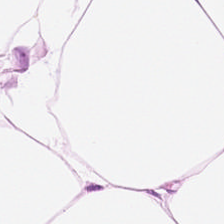Adipose.
